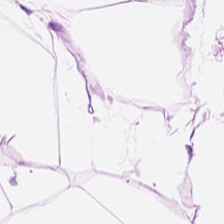Tissue class — adipocytes.
